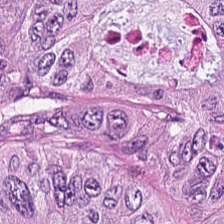H&E-stained tissue section showing tumor epithelium.
